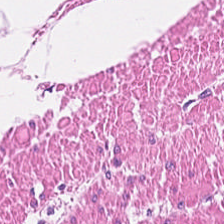Showing smooth muscle.
